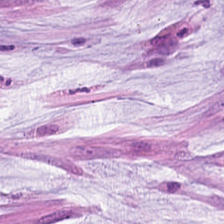H&E · whole-slide-image patch. The classification is mucus.
